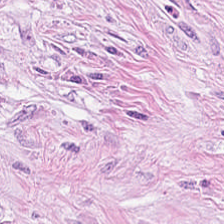Stain: H&E.
Resolution: 20× equivalent magnification.
Acquisition: WSI patch.
Classification: tumor-associated stroma.
